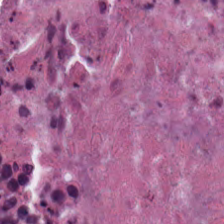H&E stain; 224×224 pixel tile; brightfield. {"tissue_type": "debris"}
